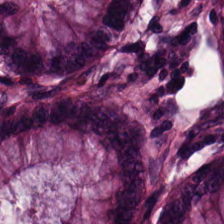Hematoxylin and eosin. The predominant tissue is benign colonic mucosa.
